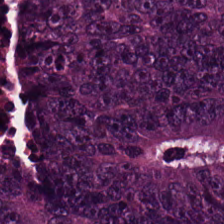Hematoxylin and eosin.
{"tissue_type": "malignant epithelium"}
